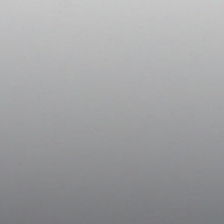Empty field — empty background.
